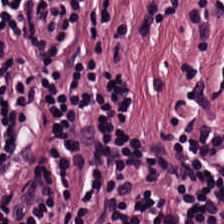H&E — Classification = lymphoid infiltrate.
